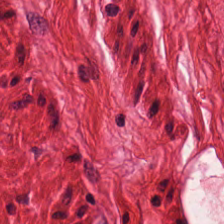H&E stain; WSI patch.
The predominant tissue is smooth-muscle tissue.
